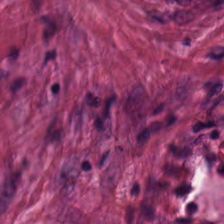H&E. The predominant tissue is cancer-associated stroma.
